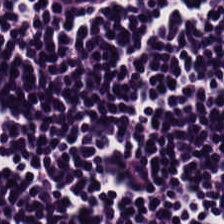Hematoxylin and eosin. Q: Identify the tissue.
A: The field shows lymphocytic infiltrate.
